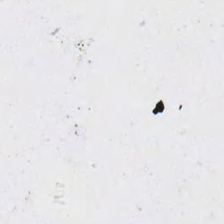Hematoxylin and eosin — Q: What is shown in this field?
A: It is no tissue.
